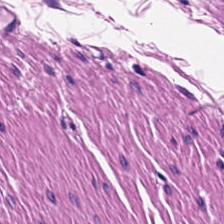Predominant tissue = smooth-muscle tissue.
